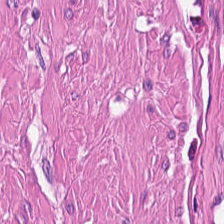Stain: H&E-stained tissue section.
Tile size: 224×224 px tile.
Classification: smooth muscle.
